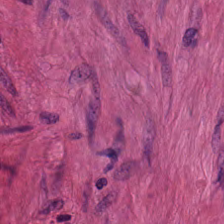Q: What tissue type is shown here?
A: This is muscularis.
